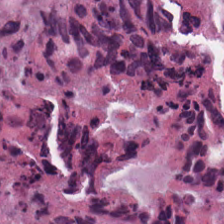H&E-stained tissue section — The predominant tissue is cellular debris.
